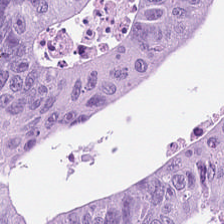The tissue type is adenocarcinoma.
